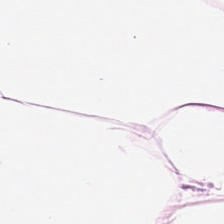H&E — Histology — fat tissue.
